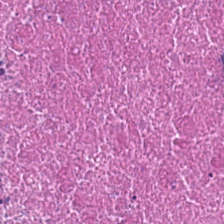Q: Identify the tissue.
A: This is cellular debris.
